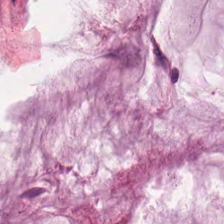H&E-stained tissue section. Histology — mucus.
